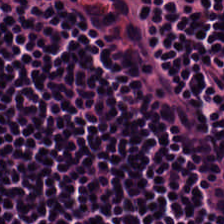Brightfield microscopy; H&E stain; formalin-fixed paraffin-embedded section.
Showing lymphoid infiltrate.
